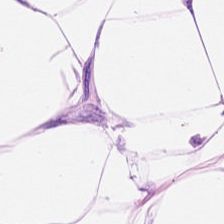Stain: H&E-stained tissue section.
Tissue: adipose.
